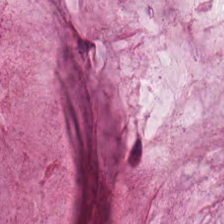224×224 pixel tile · H&E stain · 0.5 µm/px.
Tissue: mucus.
